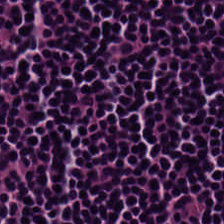0.5 µm per pixel · H&E stain. Q: What does this patch show?
A: Lymphocyte aggregate.
